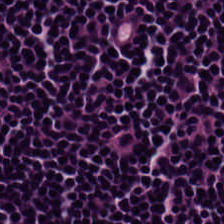Stain: H&E-stained tissue section.
Tissue type: lymphoid infiltrate.
